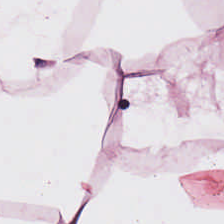H&E-stained tissue section; 0.5 microns per pixel. Classification: fat tissue.
